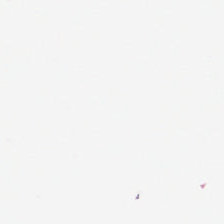224×224 pixel tile; brightfield microscopy; H&E — The content is no tissue.
